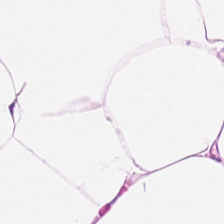H&E.
Predominant tissue — fat tissue.
